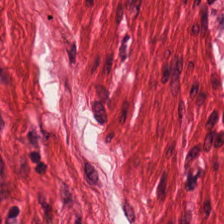Q: What is shown in this field?
A: The field shows smooth-muscle tissue.
